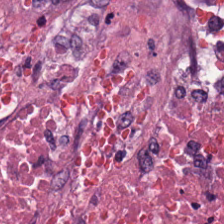Q: What is shown here?
A: The field shows necrotic debris.
